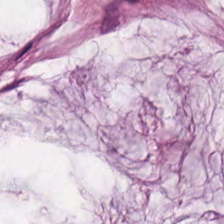0.5 microns per pixel; H&E; 224×224 pixel tile.
Showing mucus.
